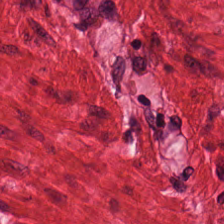0.5 microns per pixel; H&E-stained tissue section. Predominantly smooth-muscle tissue.
